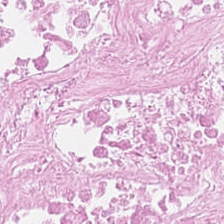H&E stain — Predominantly necrotic debris.
